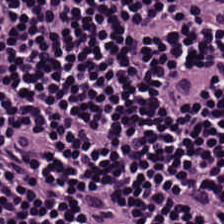H&E stain.
Q: What is shown here?
A: Lymphocytes.
